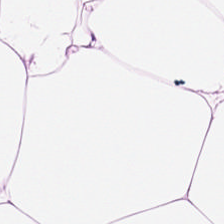224×224 px tile; H&E — The predominant tissue is adipose.
